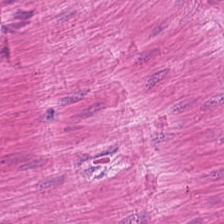0.5 µm/px · H&E-stained tissue section. Classification: smooth muscle.
